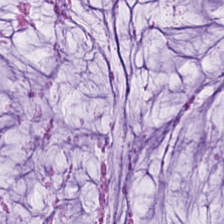Stain: hematoxylin-and-eosin stained section.
Tile size: 224×224 px patch.
Preparation: formalin-fixed paraffin-embedded section.
Predominant tissue: mucus.
